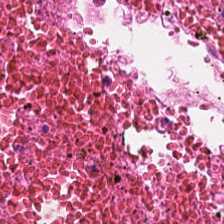H&E-stained tissue section.
Showing cellular debris.
